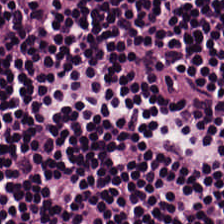H&E stain; 224×224 pixel tile.
The tissue here is lymphoid infiltrate.
